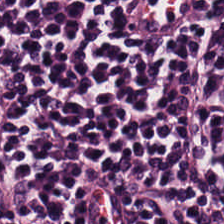FFPE tissue section; 0.5 µm per pixel; H&E — Q: What is shown here?
A: The field shows lymphoid infiltrate.
